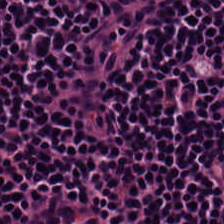H&E-stained tissue section — Impression — lymphocytes.
